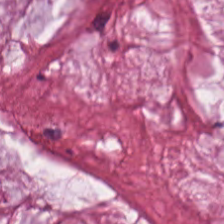Hematoxylin-and-eosin stained section; brightfield; FFPE tissue section. Predominant tissue — mucus.
